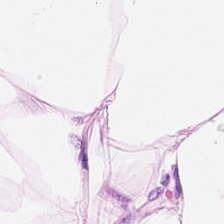FFPE. H&E stain. This field is fat tissue.
